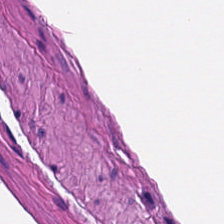H&E-stained tissue section — Tissue type = smooth muscle.
